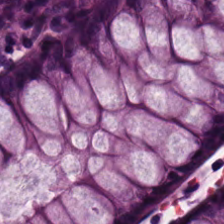Q: What does this patch show?
A: The field shows normal colon mucosa.
